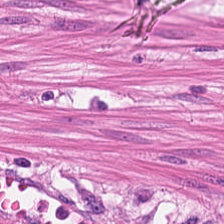H&E-stained tissue section. This field is smooth-muscle tissue.
